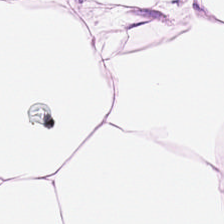Hematoxylin and eosin.
Predominantly adipose tissue.
